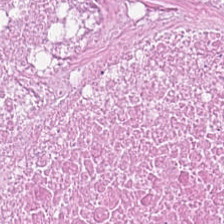Predominantly cellular debris.
